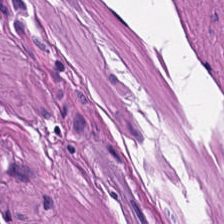Predominant tissue = smooth-muscle tissue.
